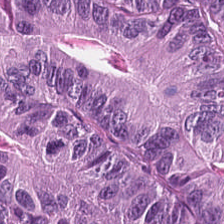H&E stain · 20× equivalent magnification.
This field is adenocarcinoma.
